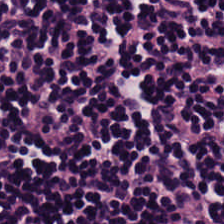Brightfield · H&E stain. Tissue type: lymphocytes.
